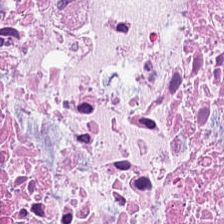Hematoxylin and eosin. 0.5 µm/px. 224×224 pixel tile.
Histology — debris.
